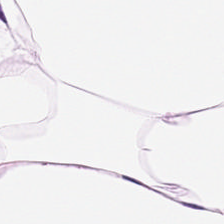H&E. 0.5 µm per pixel.
Tissue type: adipocytes.
